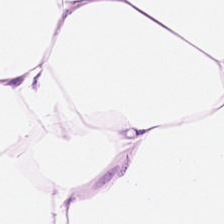FFPE. 224×224 px tile. H&E stain. This patch shows adipocytes.
